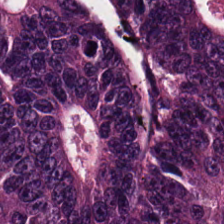H&E — The predominant tissue is tumor epithelium.
